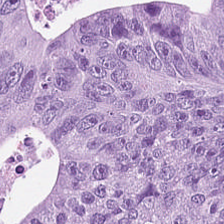Hematoxylin-and-eosin section: malignant epithelium.
